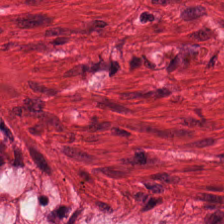Hematoxylin-and-eosin stained section — The tissue class is muscularis.
